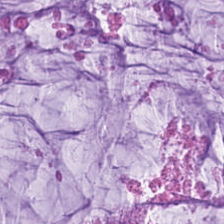H&E · 0.5 µm per pixel — The classification is mucin.
